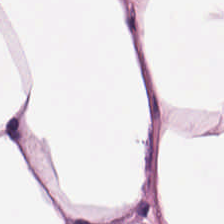H&E. Formalin-fixed paraffin-embedded section — Showing adipocytes.
